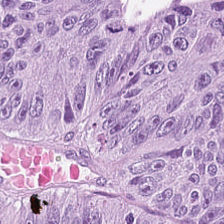H&E. Predominantly adenocarcinoma.
